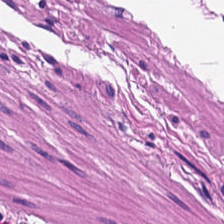H&E-stained tissue section; FFPE — Q: What type of tissue is this?
A: Muscularis.
